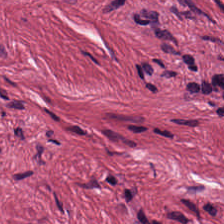Brightfield; 0.5 µm/px; H&E.
Q: What is the predominant tissue type?
A: This is tumor-associated stroma.
